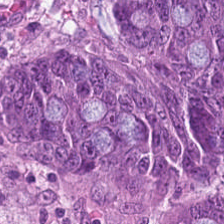H&E; WSI patch; 0.5 microns per pixel.
Tissue = tumor epithelium.
